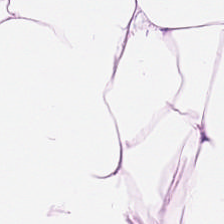Q: What type of tissue is this?
A: Fat tissue.
